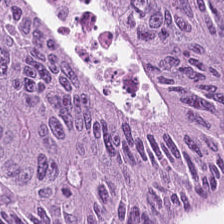Q: What does this patch show?
A: It is colorectal adenocarcinoma epithelium.
